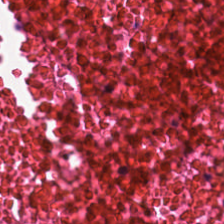Hematoxylin and eosin.
Tissue = necrotic debris.
